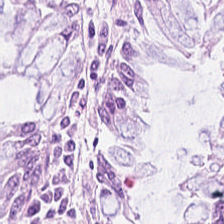WSI patch; hematoxylin and eosin. Predominantly benign colonic mucosa.
